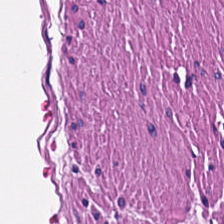FFPE; hematoxylin-and-eosin stained section — Smooth-muscle tissue.
